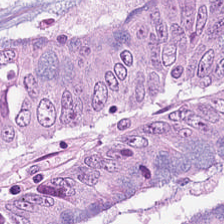Q: Classify this patch.
A: The field shows colorectal adenocarcinoma.
